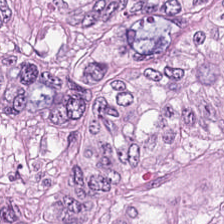The predominant tissue is colorectal adenocarcinoma epithelium.
